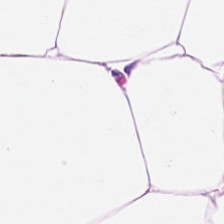H&E-stained tissue section showing adipocytes.
